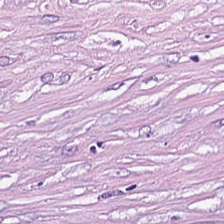Impression — desmoplastic stroma.
